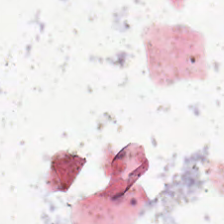FFPE tissue section · H&E stain. No tissue present; background only.
